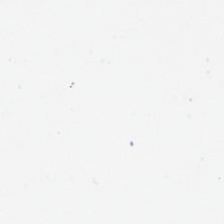No tissue present; background only.
